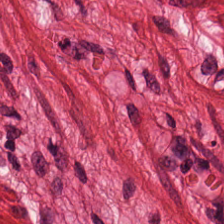H&E-stained tissue section. Tissue class — muscularis.
